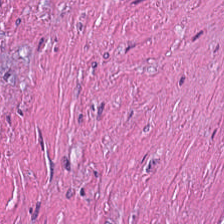FFPE tissue section. H&E stain. 224×224 px patch — {"tissue_type": "necrotic debris"}
